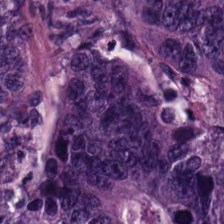Whole-slide-image patch · hematoxylin-and-eosin stained section — Q: What does this patch show?
A: Colorectal adenocarcinoma epithelium.
